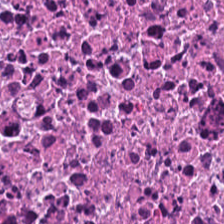H&E stain.
Q: What tissue is shown?
A: This is cellular debris.
